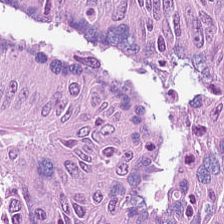H&E — malignant epithelium.
